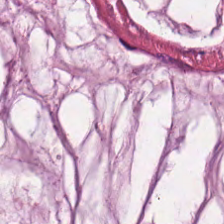The predominant tissue is extracellular mucin.
